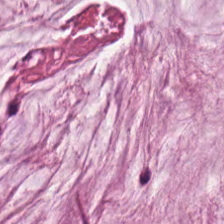H&E stain. Q: What is the predominant tissue type?
A: It is extracellular mucin.
